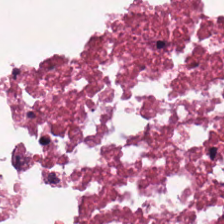WSI patch · H&E stain.
Finding — necrotic debris.
